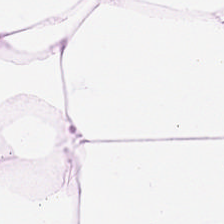{"tissue_type": "adipocytes"}
